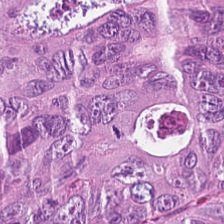Hematoxylin-and-eosin stained section · 20× equivalent magnification · brightfield microscopy — This patch shows adenocarcinoma.
